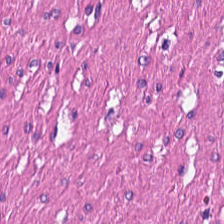This field is muscularis.
